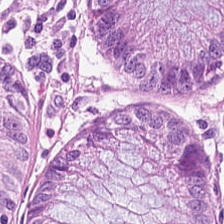20× equivalent magnification. H&E-stained tissue section. FFPE.
This patch shows normal colonic mucosa.
